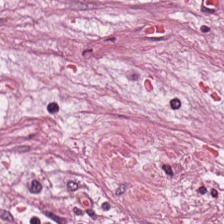H&E stain. Showing cancer-associated stroma.
